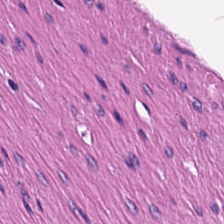Formalin-fixed paraffin-embedded section; hematoxylin and eosin — This patch shows smooth-muscle tissue.
